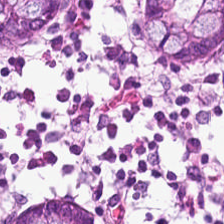224×224 px tile. H&E.
Benign colonic mucosa.
